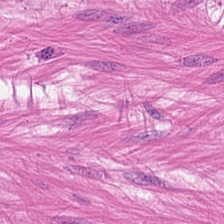Hematoxylin-and-eosin stained section · 0.5 µm per pixel · 224×224 px patch — Finding → smooth muscle.
